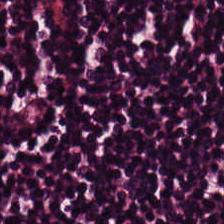Q: What tissue is shown?
A: Lymphocytic infiltrate.
